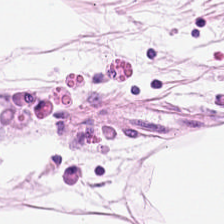Stain: hematoxylin and eosin.
Tissue class: adipocytes.
